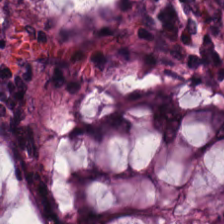Hematoxylin and eosin. 224×224 px tile.
Tissue type — normal colonic mucosa.
